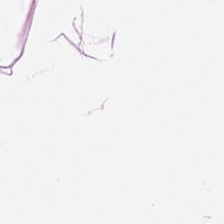Finding → adipocytes.
